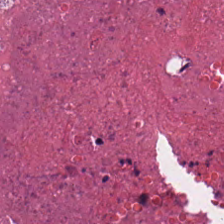H&E — Showing necrotic debris.
